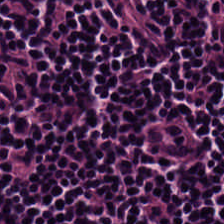H&E.
The tissue here is lymphocytes.
